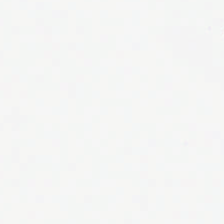Q: What does this patch show?
A: The field shows empty background.
